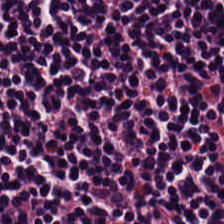Hematoxylin-and-eosin stained section. Lymphoid infiltrate.
